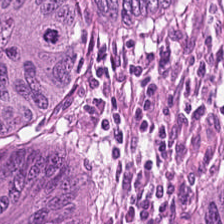Q: Classify this patch.
A: Colorectal adenocarcinoma.
